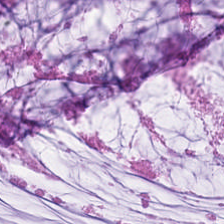H&E. Q: What is shown in this field?
A: This is mucus.
